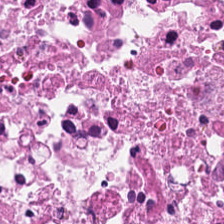Hematoxylin and eosin.
Showing necrotic debris.
